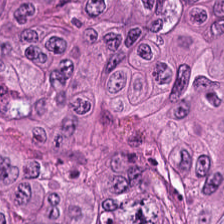H&E stain. Tissue type = malignant epithelium.
